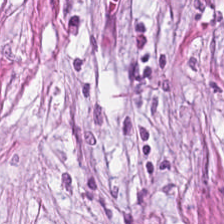Stain: H&E stain.
Tissue class: tumor-associated stroma.
